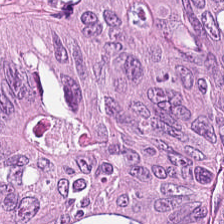H&E-stained section; the field shows malignant epithelium.
